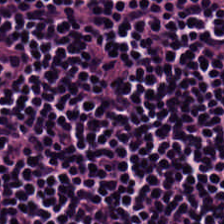Hematoxylin and eosin. This field is lymphoid infiltrate.
